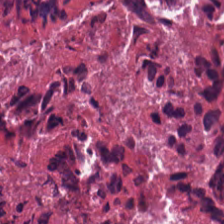H&E stain — Q: Identify the tissue.
A: Necrotic debris.
